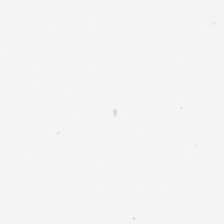Hematoxylin-and-eosin stained section.
Background (no tissue).
